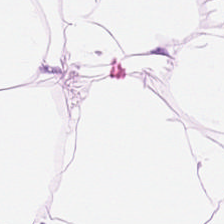Hematoxylin-and-eosin stained section; 20× equivalent magnification.
Q: What is shown here?
A: The field shows adipocytes.
